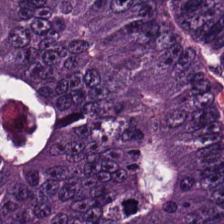Finding — adenocarcinoma.
